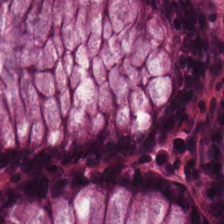H&E.
{"tissue_type": "normal colonic mucosa"}
